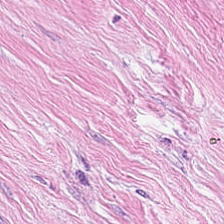Stain: H&E.
Acquisition: brightfield microscopy.
Classification: tumor-associated stroma.
